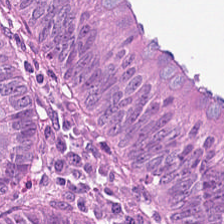Hematoxylin-and-eosin stained section. The tissue here is colorectal adenocarcinoma epithelium.
